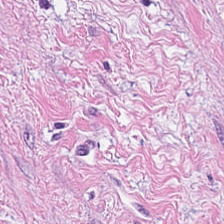Classification = desmoplastic stroma.
